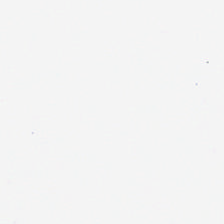H&E stain.
Content = empty background.
